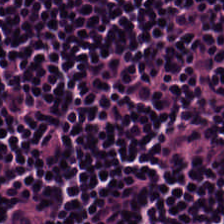Predominant tissue = lymphoid infiltrate.
